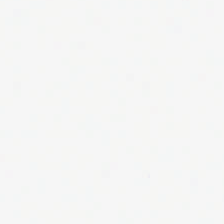H&E-stained tissue section. 224×224 px tile. {"content": "background"}
